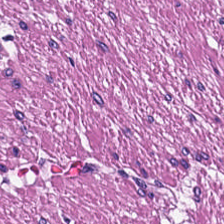Q: What type of tissue is this?
A: Smooth muscle.
